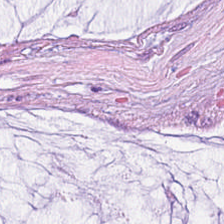224×224 px patch; H&E stain — Q: Identify the tissue.
A: This is mucus.
